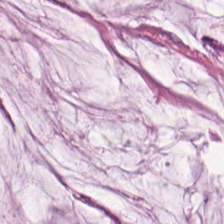H&E stain · brightfield. Q: What does this patch show?
A: Mucus.
